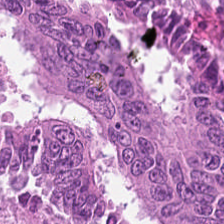This patch shows malignant epithelium.
